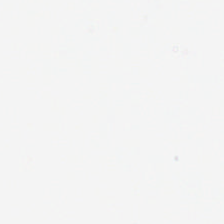Brightfield microscopy. H&E.
Q: What is shown in this field?
A: This is empty background.
